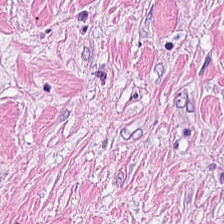Hematoxylin-and-eosin section: cancer-associated stroma.
